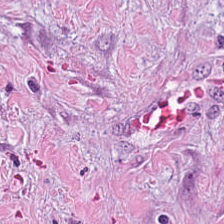{"tissue_type": "tumor-associated stroma"}
